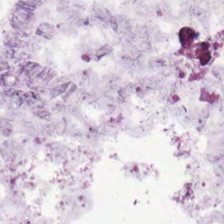H&E — mucin.
